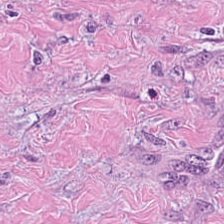H&E-stained tissue section.
The predominant tissue is cancer-associated stroma.
